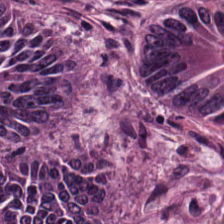Hematoxylin-and-eosin stained section — The predominant tissue is adenocarcinoma.
